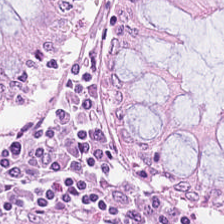0.5 µm/px; H&E; 224×224 px tile.
The tissue here is normal colonic mucosa.
